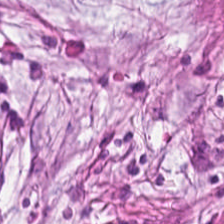WSI patch · 20× equivalent magnification · H&E stain. Histology → tumor-associated stroma.
